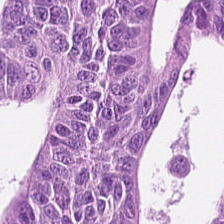Hematoxylin and eosin · 224×224 pixel tile · 0.5 µm per pixel.
The tissue here is colorectal adenocarcinoma epithelium.
